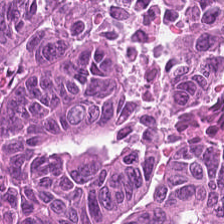H&E-stained tissue section; WSI patch — Tissue — adenocarcinoma.
